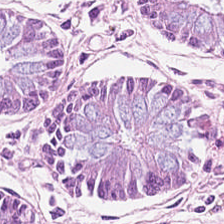Hematoxylin-and-eosin stained section; FFPE — Q: What is the predominant tissue type?
A: This is benign colonic mucosa.
